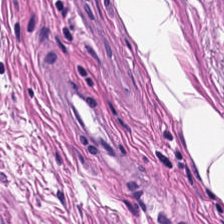Q: What is shown here?
A: It is muscularis.
